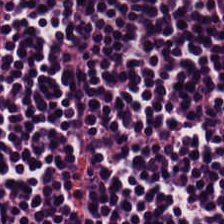This field is lymphoid infiltrate.
